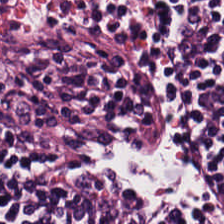H&E — The predominant tissue is lymphoid infiltrate.
